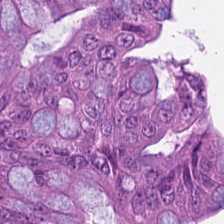H&E-stained tissue section. 224×224 pixel tile. Formalin-fixed paraffin-embedded section. Tissue class: adenocarcinoma.
